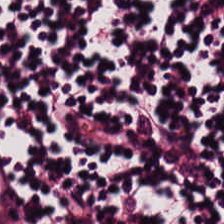H&E · brightfield microscopy · 0.5 µm/px. Predominantly lymphocytes.
